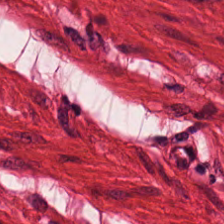H&E — Q: What is the predominant tissue type?
A: The field shows smooth muscle.
